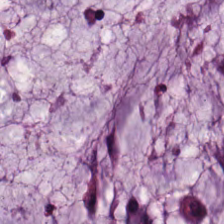224×224 pixel tile. H&E stain.
The predominant tissue is mucus.
